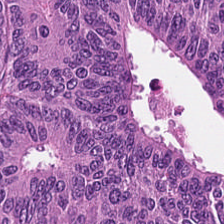H&E-stained tissue section — Tissue type — tumor epithelium.
